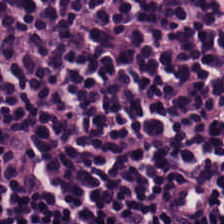Q: What tissue type is shown here?
A: This is lymphocytes.
